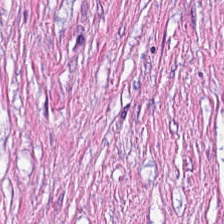H&E — tumor-associated stroma.
